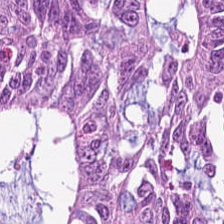224×224 px patch; whole-slide-image patch; hematoxylin and eosin — The tissue here is malignant epithelium.
